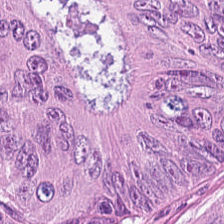{"tissue_type": "colorectal adenocarcinoma"}
